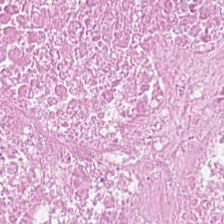H&E · 224×224 px tile — This field is necrotic debris.
